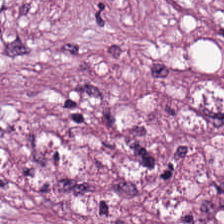Hematoxylin and eosin. The tissue here is desmoplastic stroma.
